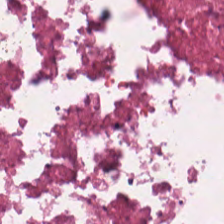Stain: H&E.
Predominant tissue: debris.
